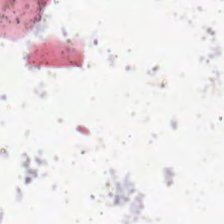Content = background.
